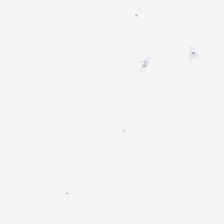Background (no tissue).
